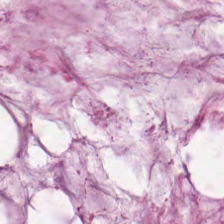Stain: H&E.
Tissue: mucus.
